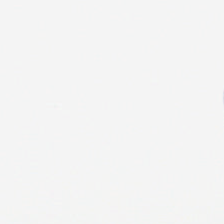Hematoxylin and eosin. No tissue present; background only.
